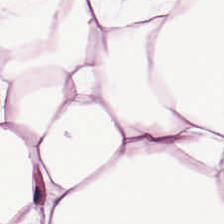0.5 µm/px; H&E stain — Predominant tissue = adipose tissue.
